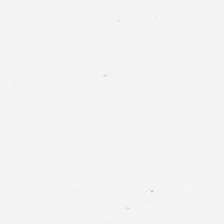{"content": "empty background"}
